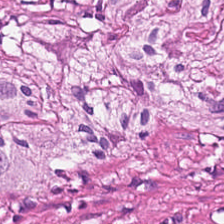Stain: H&E stain.
Preparation: FFPE.
Tissue: muscularis.
